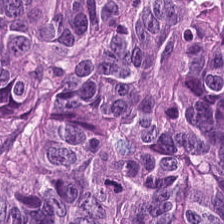Adenocarcinoma.
